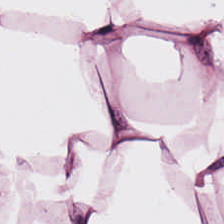Formalin-fixed paraffin-embedded section. Hematoxylin and eosin — Showing fat tissue.
